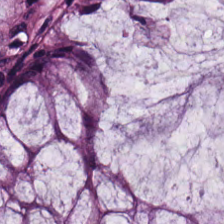224×224 pixel tile · H&E-stained tissue section · 0.5 µm/px. Tissue type — non-neoplastic colon mucosa.
